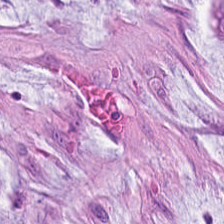This patch shows mucin.
